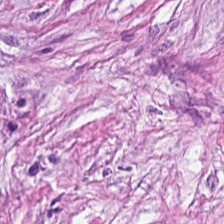Hematoxylin-and-eosin stained section. Q: Identify the tissue.
A: The field shows desmoplastic stroma.
